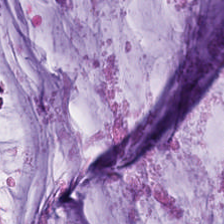H&E stain. Histology → mucin.
